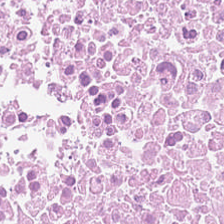H&E-stained tissue section showing necrotic debris.
